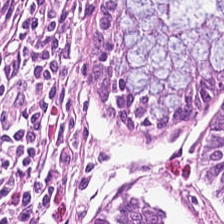Q: What tissue is shown?
A: The field shows non-neoplastic colon mucosa.
